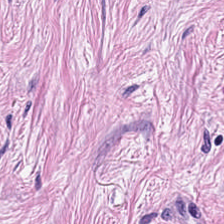H&E-stained tissue section; brightfield microscopy.
The predominant tissue is desmoplastic stroma.
